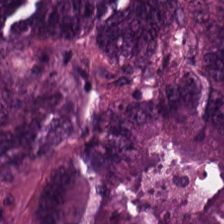Q: What tissue is shown?
A: It is adenocarcinoma.
